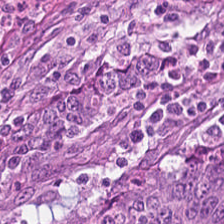H&E.
Tissue class — colorectal adenocarcinoma epithelium.
